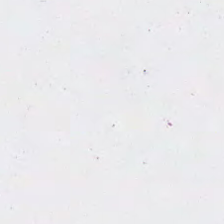Stain: H&E stain.
Resolution: 20× equivalent magnification.
Classification: background.
